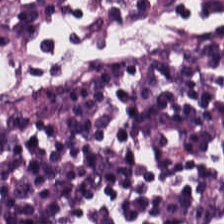Hematoxylin and eosin — Predominant tissue — lymphocytic infiltrate.
